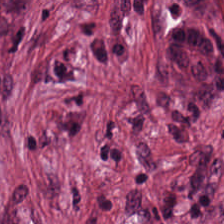Hematoxylin-and-eosin stained section — The tissue here is tumor-associated stroma.
